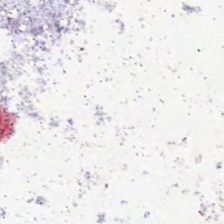0.5 µm per pixel. Whole-slide-image patch. H&E-stained tissue section.
The classification is no tissue.
